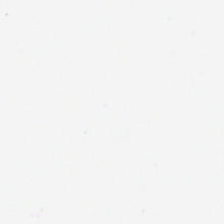H&E stain.
Q: Classify this patch.
A: This is no tissue.
